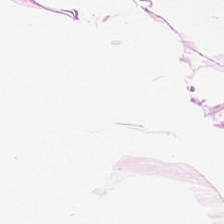This patch shows fat tissue.
